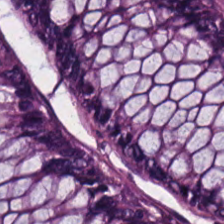Stain: H&E-stained tissue section.
Tile size: 224×224 px patch.
Tissue: normal colon mucosa.
